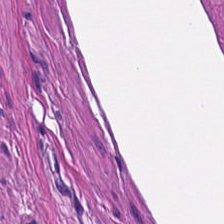H&E patch showing smooth-muscle tissue.
